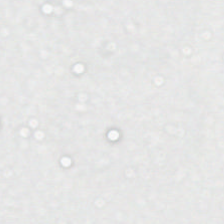{"content": "background"}
